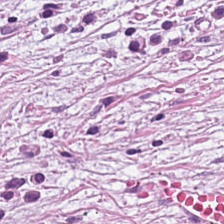224×224 px tile. H&E stain.
{"tissue_type": "cancer-associated stroma"}
